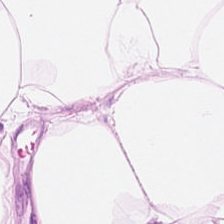Hematoxylin-and-eosin stained section · 0.5 microns per pixel · whole-slide-image patch.
Tissue class: adipocytes.
